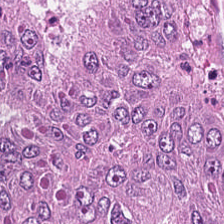H&E-stained tissue section.
Histology → malignant epithelium.
